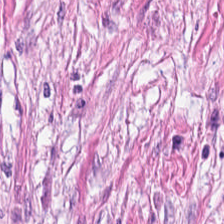Whole-slide-image patch. H&E-stained tissue section. Q: Identify the tissue.
A: The field shows tumor-associated stroma.
